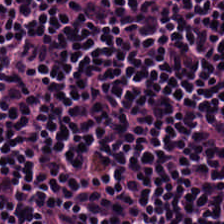Hematoxylin-and-eosin stained section. 224×224 px patch. 20× equivalent magnification — Tissue type — lymphocyte aggregate.
